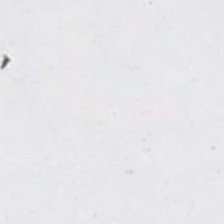224×224 px patch. Hematoxylin and eosin.
This patch shows empty background.
